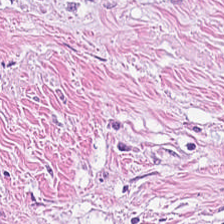H&E stain — Q: Identify the tissue.
A: The field shows cancer-associated stroma.
